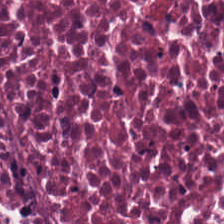H&E stain · 0.5 microns per pixel. Showing necrotic debris.
